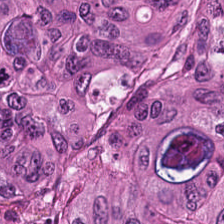FFPE tissue section; 0.5 microns per pixel; hematoxylin and eosin. {"tissue_type": "tumor epithelium"}
